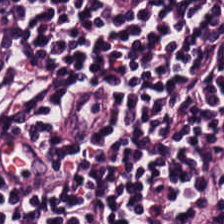Predominantly lymphocytes.
